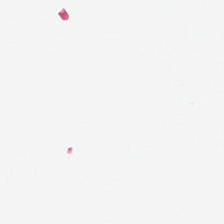Stain: hematoxylin-and-eosin stained section.
Preparation: FFPE tissue section.
Content: background (no tissue).
